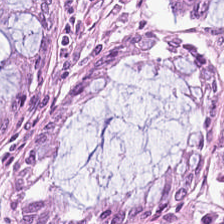Tissue = normal colonic mucosa.
